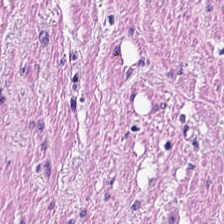H&E. 0.5 µm/px. FFPE tissue section. Q: What tissue is shown?
A: This is smooth muscle.
